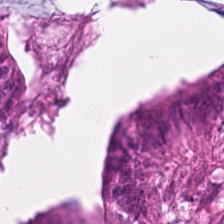Tissue = tumor epithelium.
